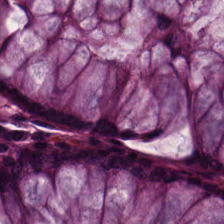Stain: hematoxylin-and-eosin stained section.
Tissue class: normal colon mucosa.
